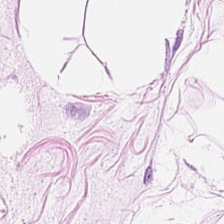H&E stain — {"tissue_type": "adipose"}
